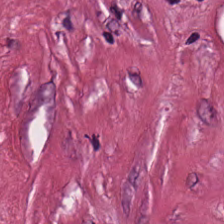Hematoxylin-and-eosin stained section.
Predominant tissue — tumor stroma.
